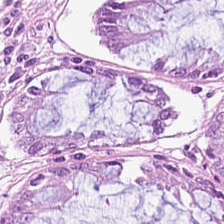H&E-stained tissue section showing benign colonic mucosa.
